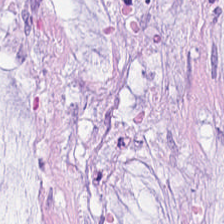FFPE tissue section · H&E-stained tissue section · WSI patch.
Classification: mucus.
